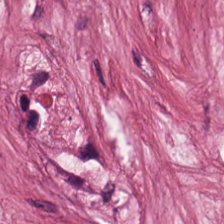H&E-stained tissue section.
Tissue type = cancer-associated stroma.
